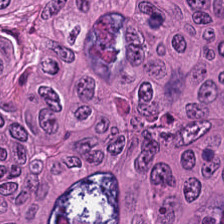H&E stain; FFPE tissue section; WSI patch.
Finding — tumor epithelium.
